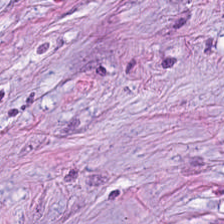H&E-stained tissue section showing desmoplastic stroma.
